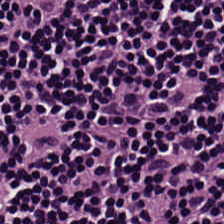H&E — {"tissue_type": "lymphocyte aggregate"}
